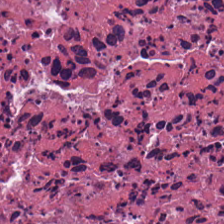224×224 pixel tile; hematoxylin and eosin. {"tissue_type": "cellular debris"}
